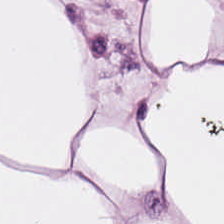Brightfield microscopy · H&E-stained tissue section · 20× equivalent magnification — Tissue type — adipose.
